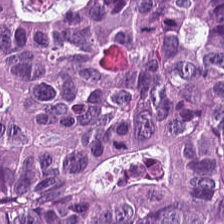Hematoxylin and eosin · 0.5 microns per pixel.
Finding → adenocarcinoma.
